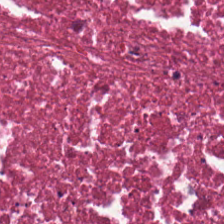H&E-stained tissue section — This field is necrotic debris.
